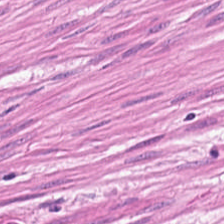FFPE tissue section. H&E.
{"tissue_type": "smooth-muscle tissue"}
